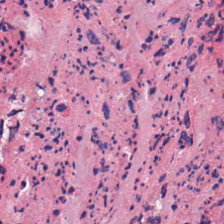0.5 µm per pixel; hematoxylin and eosin — Necrotic debris.
